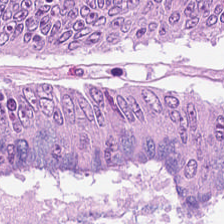H&E — Tissue class — colorectal adenocarcinoma epithelium.
